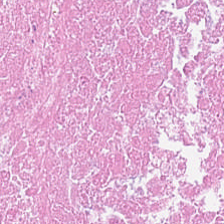0.5 µm/px. H&E stain.
Predominantly cellular debris.
